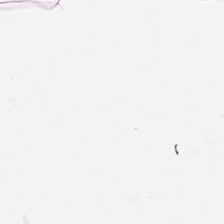H&E stain; formalin-fixed paraffin-embedded section — Adipose.
